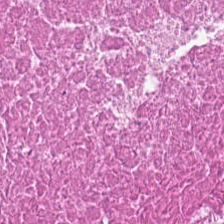H&E. Formalin-fixed paraffin-embedded section. Showing debris.
